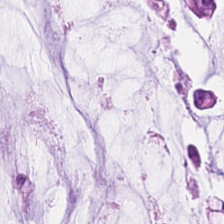224×224 px patch. Whole-slide-image patch. H&E. Histology — extracellular mucin.
